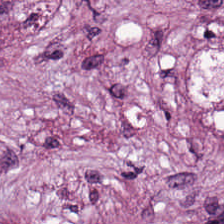0.5 microns per pixel; H&E-stained tissue section; FFPE.
Tissue class = tumor stroma.
